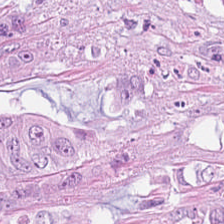Hematoxylin and eosin — Classification — tumor epithelium.
